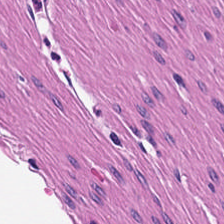H&E stain · WSI patch — This patch shows smooth-muscle tissue.
